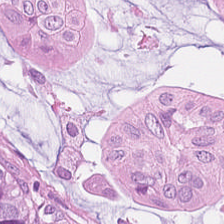The tissue type is colorectal adenocarcinoma.
